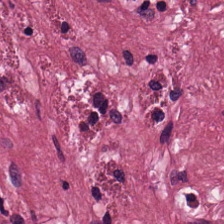Stain: H&E-stained tissue section.
Classification: cancer-associated stroma.
